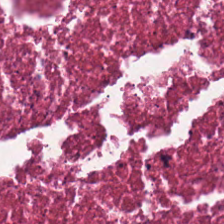H&E; 224×224 px patch — Predominantly debris.
